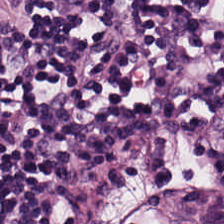H&E stain — Tissue type — lymphocytic infiltrate.
